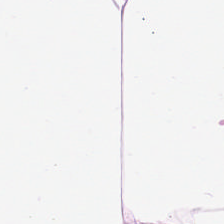Hematoxylin and eosin — This patch shows adipose tissue.
